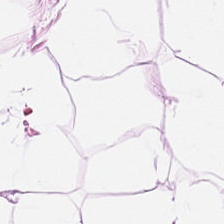H&E.
Q: What is shown here?
A: Adipocytes.
